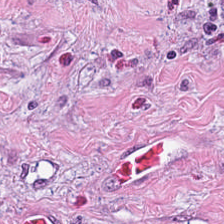224×224 px patch. H&E.
Q: What is the predominant tissue type?
A: It is cancer-associated stroma.
